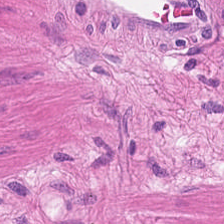H&E — Predominant tissue: smooth-muscle tissue.
